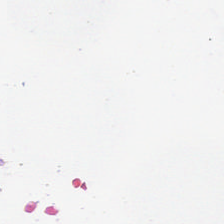20× equivalent magnification. H&E.
This field is background (no tissue).
